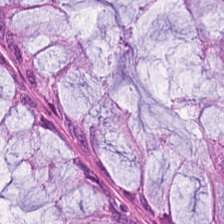Hematoxylin-and-eosin stained section — This patch shows benign colonic mucosa.
